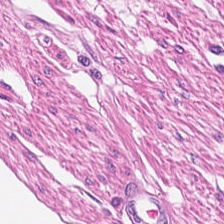Hematoxylin-and-eosin stained section.
Tissue type — smooth-muscle tissue.
